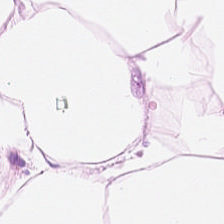H&E.
Tissue = fat tissue.
